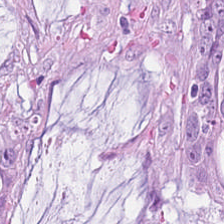H&E stain — Predominant tissue: extracellular mucin.
